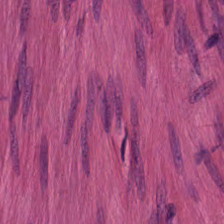Stain: H&E.
Tissue class: smooth-muscle tissue.
